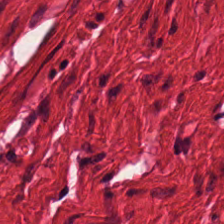Smooth muscle.
